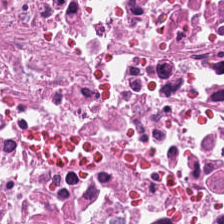Hematoxylin and eosin; FFPE. Debris.
